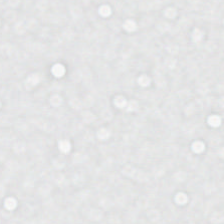Formalin-fixed paraffin-embedded section. WSI patch. Hematoxylin and eosin. Classification = empty background.
